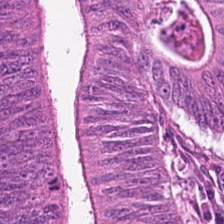Stain: hematoxylin-and-eosin stained section.
Resolution: 0.5 µm per pixel.
Predominant tissue: colorectal adenocarcinoma epithelium.
